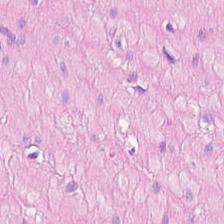Hematoxylin-and-eosin stained section.
Classification = smooth-muscle tissue.
